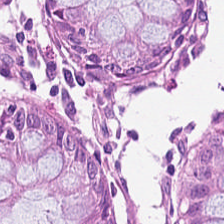Hematoxylin-and-eosin stained section — Showing normal colonic mucosa.
